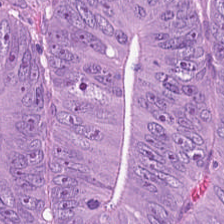Stain: H&E.
Resolution: 0.5 µm per pixel.
Tissue class: colorectal adenocarcinoma epithelium.
